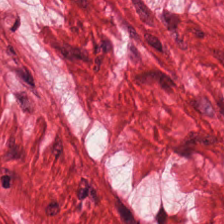Hematoxylin and eosin · brightfield · FFPE tissue section. This field is smooth muscle.
